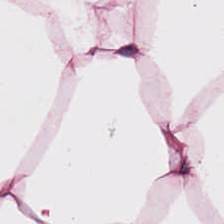H&E stain.
Q: What does this patch show?
A: Fat tissue.
